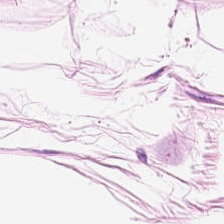Whole-slide-image patch · H&E-stained tissue section · 0.5 µm/px. This patch shows adipose tissue.
